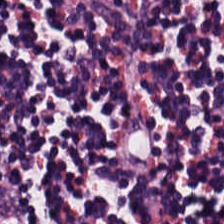Hematoxylin and eosin. Q: What type of tissue is this?
A: It is lymphoid infiltrate.
